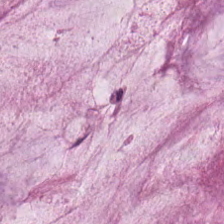Hematoxylin-and-eosin stained section · 224×224 px tile · brightfield microscopy — Classification: mucin.
